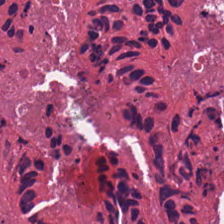Hematoxylin-and-eosin stained section. 20× equivalent magnification.
Tissue class: debris.
